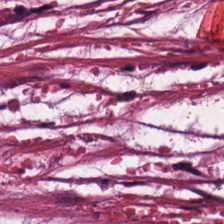H&E stain — Showing desmoplastic stroma.
